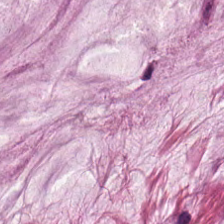H&E.
Showing mucus.
